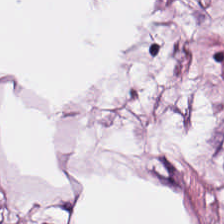Hematoxylin and eosin.
This field is fat tissue.
